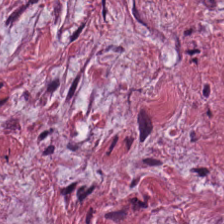H&E-stained tissue section — Q: What is shown in this field?
A: This is tumor-associated stroma.
